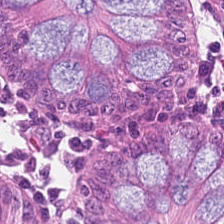Hematoxylin-and-eosin stained section. Q: Classify this patch.
A: Normal colonic mucosa.
